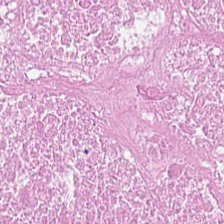Hematoxylin and eosin. 224×224 pixel tile. Tissue class = cellular debris.
